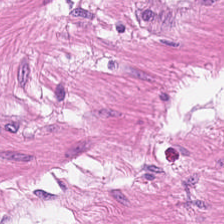Hematoxylin-and-eosin stained section. 0.5 µm per pixel.
The predominant tissue is smooth muscle.
